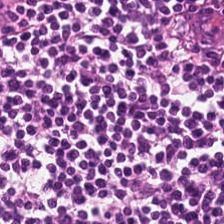H&E. Q: What is shown here?
A: The field shows lymphocytes.
